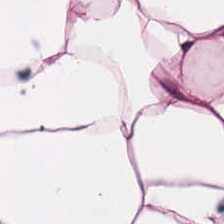H&E stain. 224×224 pixel tile. Tissue class — adipocytes.
